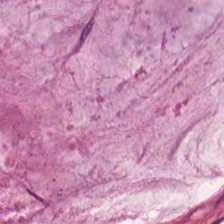This patch shows mucus.
